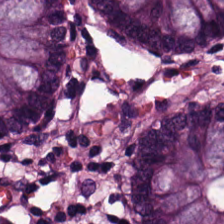0.5 µm per pixel. H&E — Tissue type — normal colonic mucosa.
